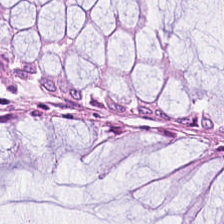Predominant tissue: non-neoplastic colon mucosa.
